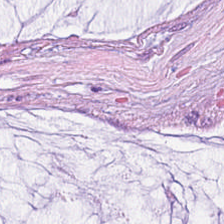Stain: H&E.
Resolution: 0.5 µm per pixel.
Classification: mucus.
